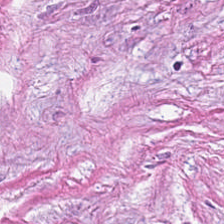H&E stain — Predominantly desmoplastic stroma.
